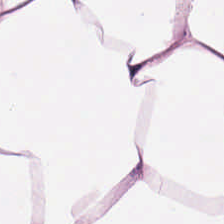Hematoxylin-and-eosin stained section — Adipose tissue.
